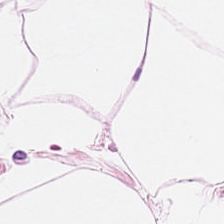H&E stain. This field is adipocytes.
